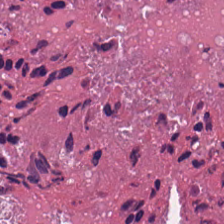Tissue type — debris.
